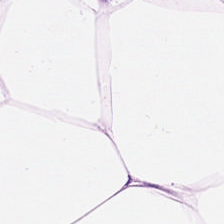H&E; FFPE. Showing fat tissue.
